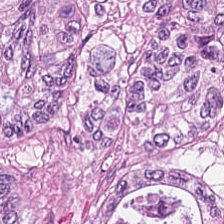The predominant tissue is tumor epithelium.
